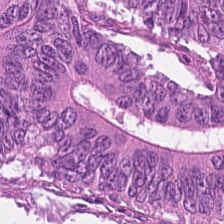H&E-stained section; the field shows malignant epithelium.
